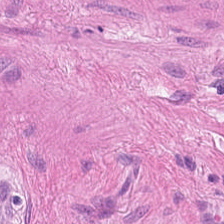H&E-stained tissue section showing muscularis.
